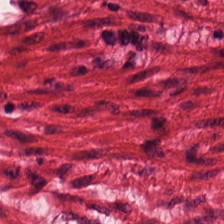H&E — smooth muscle.
